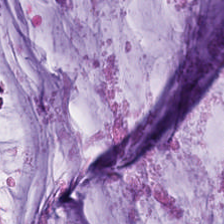Stain: H&E-stained tissue section.
Predominant tissue: mucin.
